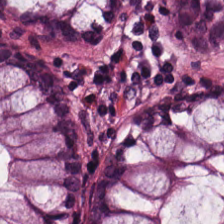Hematoxylin-and-eosin stained section · 20× equivalent magnification · 224×224 pixel tile — The predominant tissue is normal colon mucosa.
